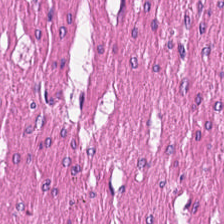Hematoxylin and eosin.
This patch shows smooth muscle.
